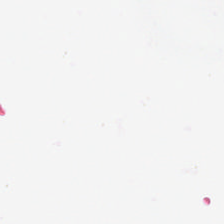Whole-slide-image patch; hematoxylin and eosin.
Empty field — empty background.
